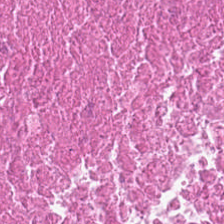Tissue class — necrotic debris.
